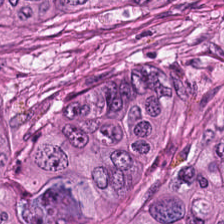Hematoxylin-and-eosin stained section. Histology — colorectal adenocarcinoma epithelium.
